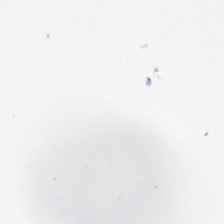Hematoxylin and eosin. {"content": "no tissue"}
